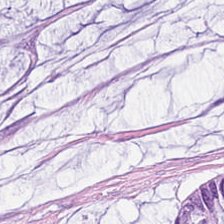H&E stain — Tissue: mucin.
